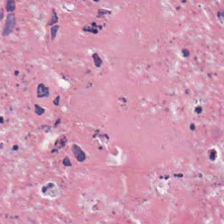Stain: H&E-stained tissue section.
Tissue class: necrotic debris.
